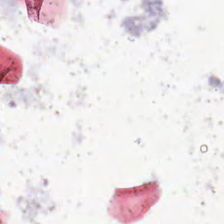H&E stain. Q: What is shown here?
A: Empty background.
